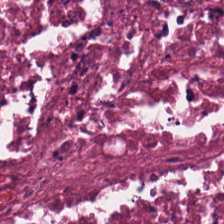Hematoxylin-and-eosin stained section; 0.5 microns per pixel.
The predominant tissue is necrotic debris.
